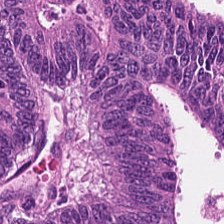Formalin-fixed paraffin-embedded section · hematoxylin-and-eosin stained section — Finding → tumor epithelium.
